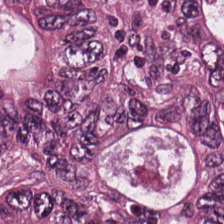H&E · 224×224 pixel tile.
{"tissue_type": "adenocarcinoma"}
